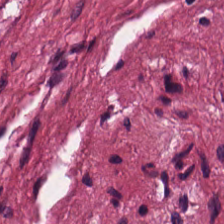H&E stain; 224×224 px tile; 20× equivalent magnification. {"tissue_type": "tumor-associated stroma"}
